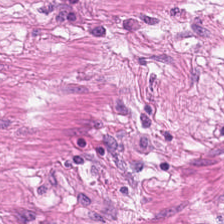0.5 µm per pixel; H&E-stained tissue section.
The tissue here is muscularis.
